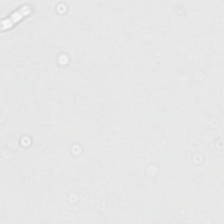Formalin-fixed paraffin-embedded section; H&E stain; 0.5 µm per pixel.
Background.
